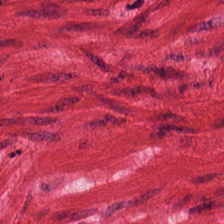H&E stain · whole-slide-image patch.
Q: What type of tissue is this?
A: It is smooth muscle.
